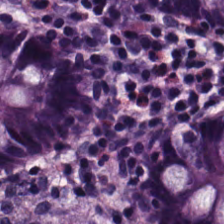Predominant tissue — non-neoplastic colon mucosa.
